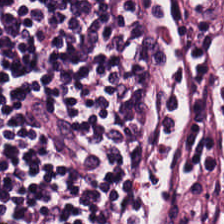FFPE tissue section · 0.5 µm per pixel · hematoxylin and eosin — {"tissue_type": "lymphocyte aggregate"}
